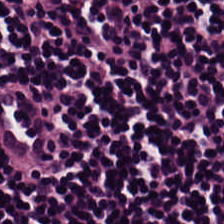H&E-stained tissue section. Tissue type = lymphocytes.
